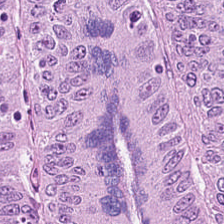Hematoxylin and eosin — The tissue here is colorectal adenocarcinoma epithelium.
